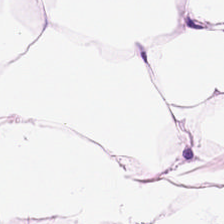Hematoxylin and eosin. This field is fat tissue.
